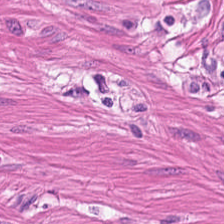H&E. Tissue class = muscularis.
